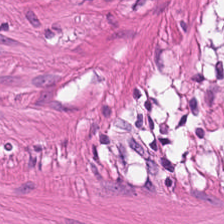Finding → smooth muscle.
